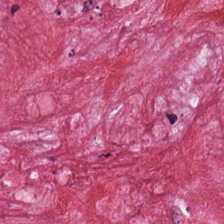Impression → cancer-associated stroma.
